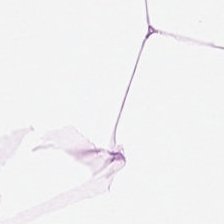Stain: hematoxylin-and-eosin stained section.
Tissue: fat tissue.
